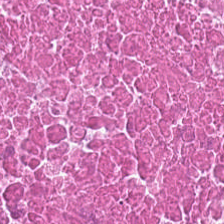224×224 px tile · brightfield microscopy · hematoxylin and eosin — Q: What is shown here?
A: This is debris.
